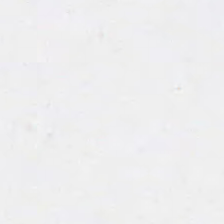Stain: hematoxylin and eosin.
Preparation: FFPE tissue section.
Tile size: 224×224 px tile.
Field content: empty background.
